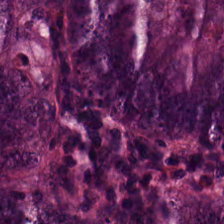Stain: H&E stain.
Preparation: formalin-fixed paraffin-embedded section.
Resolution: 0.5 µm/px.
Predominant tissue: colorectal adenocarcinoma epithelium.
